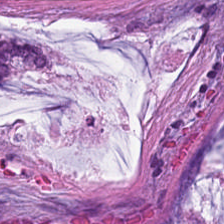Hematoxylin and eosin. Tissue class: mucin.
